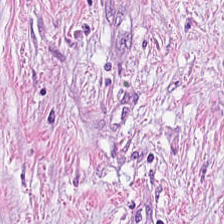H&E; 224×224 px tile — Q: What is shown here?
A: Tumor-associated stroma.
